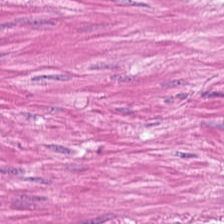Stain: hematoxylin and eosin.
Tissue type: smooth muscle.
